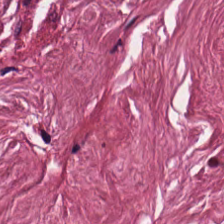Stain: H&E.
Tissue type: tumor-associated stroma.
